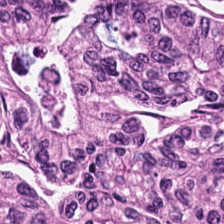Stain: hematoxylin and eosin.
Classification: tumor epithelium.
